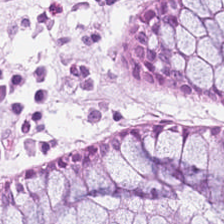H&E-stained tissue section; 20× equivalent magnification; formalin-fixed paraffin-embedded section. The tissue class is non-neoplastic colon mucosa.
